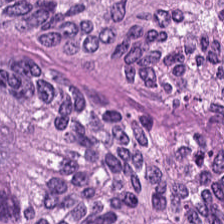Predominant tissue = malignant epithelium.
